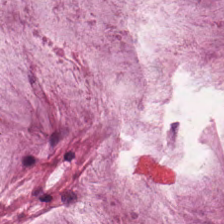Hematoxylin-and-eosin section: mucus.
